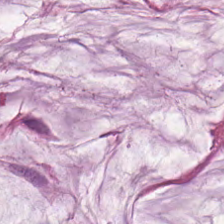Q: What does this patch show?
A: Mucus.
